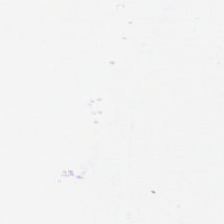224×224 px tile; H&E stain. This patch shows background (no tissue).
